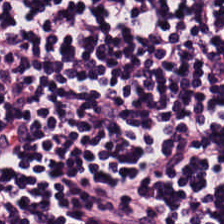H&E · FFPE · whole-slide-image patch. Tissue type: lymphoid infiltrate.
